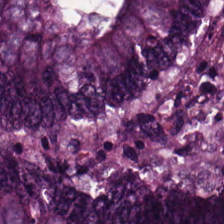Q: What tissue type is shown here?
A: This is colorectal adenocarcinoma.
